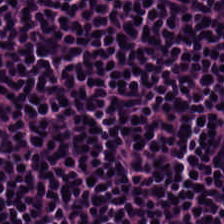Stain: hematoxylin-and-eosin stained section.
Acquisition: WSI patch.
Tissue type: lymphocyte aggregate.
